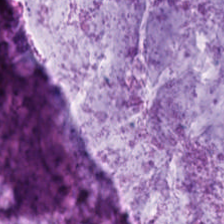H&E. Finding — mucus.
